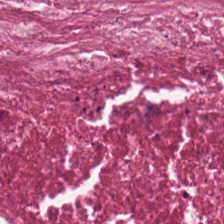H&E-stained tissue section — Q: What is shown here?
A: This is cellular debris.
